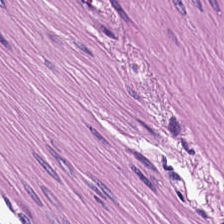Histology → smooth-muscle tissue.
